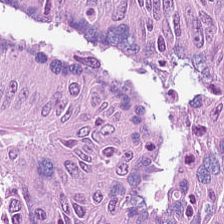H&E.
Showing malignant epithelium.
